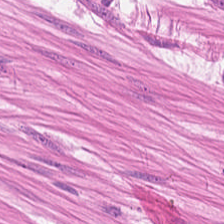H&E. The predominant tissue is smooth muscle.
